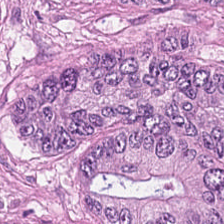Hematoxylin and eosin · 0.5 µm per pixel · formalin-fixed paraffin-embedded section.
Q: What tissue type is shown here?
A: This is tumor epithelium.
